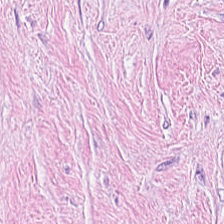H&E stain · FFPE tissue section · WSI patch.
Tissue: desmoplastic stroma.
